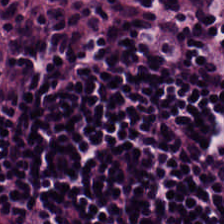Hematoxylin-and-eosin stained section — Predominant tissue — lymphocyte aggregate.
